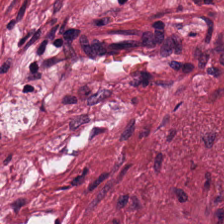H&E-stained tissue section; 224×224 px patch; formalin-fixed paraffin-embedded section.
Q: Identify the tissue.
A: It is cancer-associated stroma.
